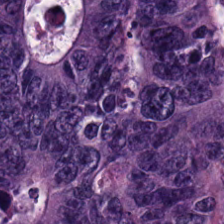Tissue type — colorectal adenocarcinoma epithelium.
